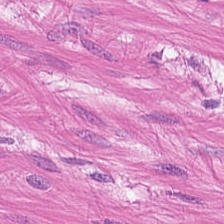Hematoxylin-and-eosin stained section.
The predominant tissue is smooth muscle.
